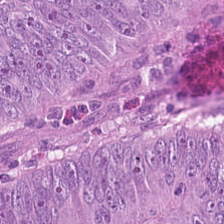FFPE tissue section · H&E-stained tissue section · 224×224 px tile — This field is colorectal adenocarcinoma.
